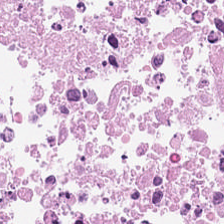Stain: hematoxylin and eosin.
Tissue: necrotic debris.
